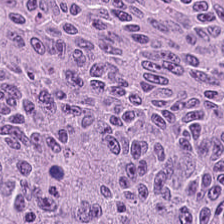Impression — colorectal adenocarcinoma.
